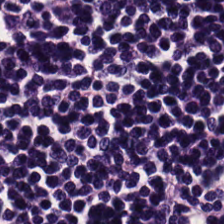224×224 px tile. H&E stain. Tissue class — lymphocytic infiltrate.
